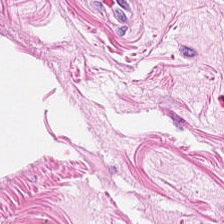H&E stain.
Classification: smooth-muscle tissue.
